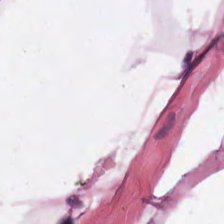Brightfield microscopy. Hematoxylin and eosin. FFPE. Predominant tissue — fat tissue.
